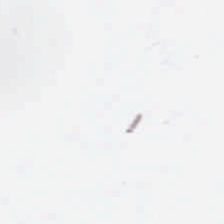224×224 px tile; H&E. Content — background (no tissue).
